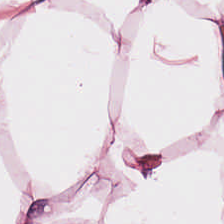Hematoxylin and eosin; WSI patch — Impression — adipocytes.
